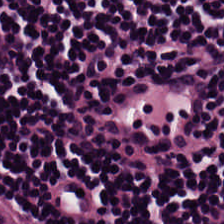Hematoxylin and eosin. Finding → lymphocytic infiltrate.
